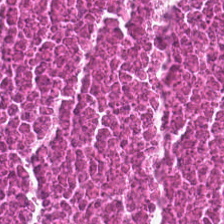Brightfield microscopy. H&E.
Histology — necrotic debris.
